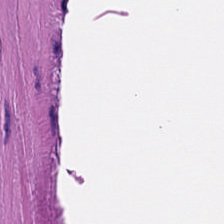H&E stain. Q: What tissue type is shown here?
A: This is muscularis.
